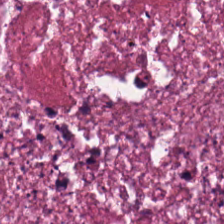Hematoxylin and eosin. Predominantly necrotic debris.
